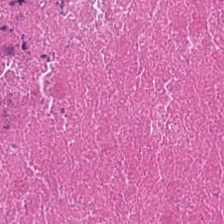H&E. The predominant tissue is cellular debris.
